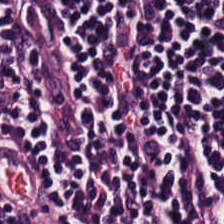Hematoxylin-and-eosin section: lymphocytic infiltrate.
